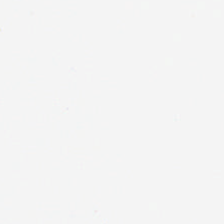H&E stain · 0.5 microns per pixel · FFPE tissue section — Histology — background (no tissue).
